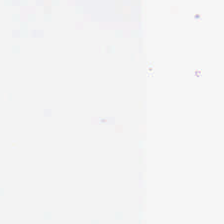224×224 px patch; 0.5 microns per pixel; H&E stain.
This field is background (no tissue).
